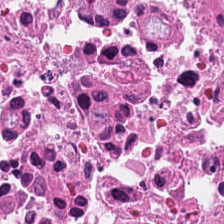Hematoxylin and eosin.
Tissue: debris.
